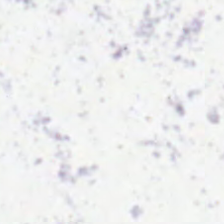H&E-stained tissue section.
No tissue present; background only.
